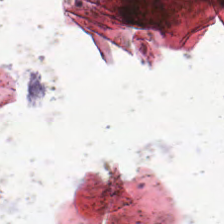Hematoxylin-and-eosin stained section. Q: What is shown in this field?
A: It is empty background.
